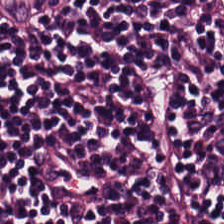The predominant tissue is lymphocytes.
